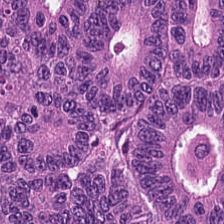Hematoxylin and eosin — {"tissue_type": "colorectal adenocarcinoma"}
